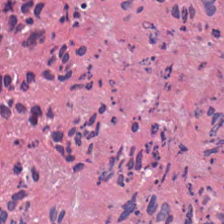H&E stain · formalin-fixed paraffin-embedded section. The tissue is debris.
